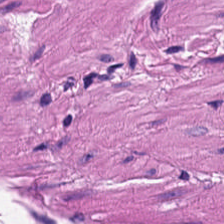Whole-slide-image patch · 0.5 microns per pixel · H&E. Smooth muscle.
